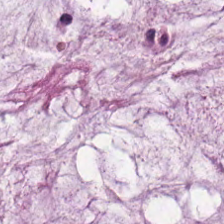H&E · WSI patch — This field is extracellular mucin.
